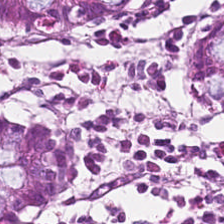H&E.
Tissue: normal colonic mucosa.
